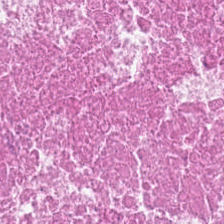H&E-stained tissue section · 0.5 microns per pixel.
Predominantly cellular debris.
